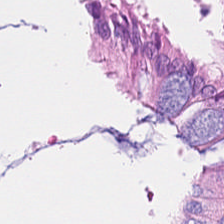H&E stain.
Tissue type — non-neoplastic colon mucosa.
